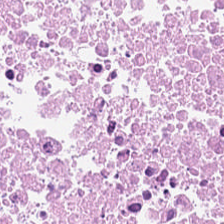224×224 px tile; WSI patch; H&E stain. Predominantly cellular debris.
